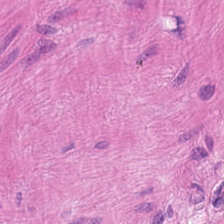Hematoxylin and eosin · brightfield microscopy. Q: What is shown here?
A: It is muscularis.
